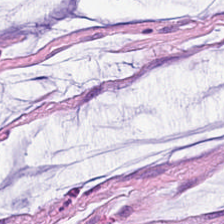Hematoxylin-and-eosin stained section. This patch shows mucus.
